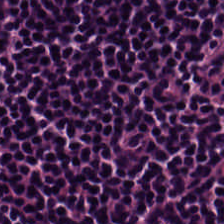Q: What does this patch show?
A: The field shows lymphocytic infiltrate.
